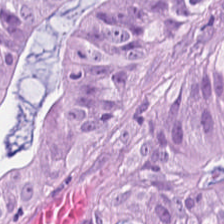H&E. 224×224 px tile. Tissue — tumor epithelium.
